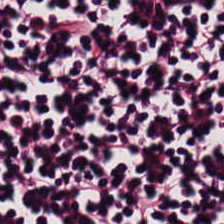H&E — lymphoid infiltrate.
